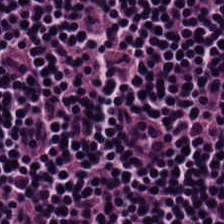H&E stain — The predominant tissue is lymphocyte aggregate.
